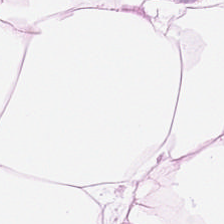Formalin-fixed paraffin-embedded section · H&E · 20× equivalent magnification.
Q: What is shown in this field?
A: It is adipose.
